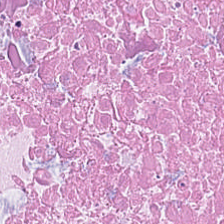Hematoxylin and eosin — This field is debris.
